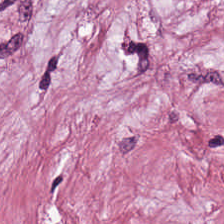H&E — Classification: tumor-associated stroma.
